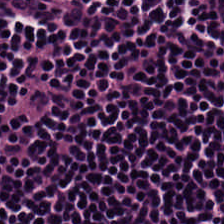Q: Classify this patch.
A: Lymphocyte aggregate.
